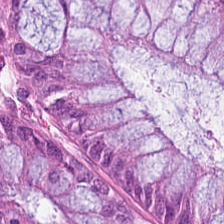Q: Classify this patch.
A: It is benign colonic mucosa.
